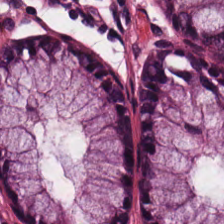H&E-stained tissue section. Showing non-neoplastic colon mucosa.
